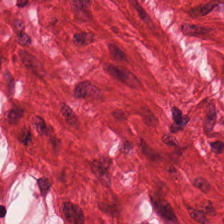H&E-stained tissue section — This field is smooth muscle.
